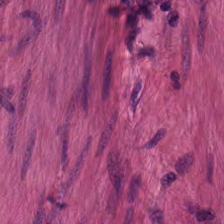Stain: hematoxylin and eosin.
Tissue class: muscularis.
